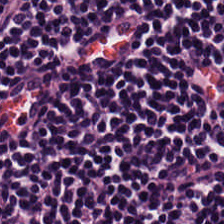The predominant tissue is lymphocyte aggregate.
